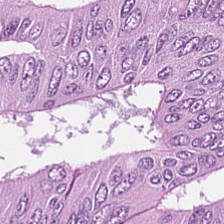Hematoxylin-and-eosin stained section. The tissue here is adenocarcinoma.
